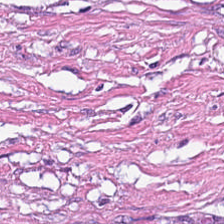H&E. Finding → tumor stroma.
